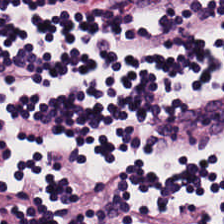224×224 px tile · H&E-stained tissue section.
Tissue class: lymphocyte aggregate.
